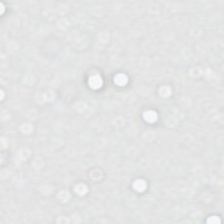Hematoxylin and eosin; formalin-fixed paraffin-embedded section. {"content": "empty background"}
